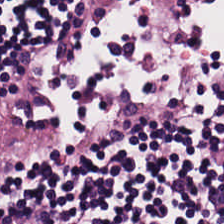H&E stain.
Impression — lymphocyte aggregate.
